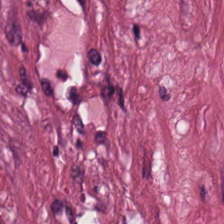Brightfield microscopy; hematoxylin-and-eosin stained section.
Tissue class — cancer-associated stroma.
